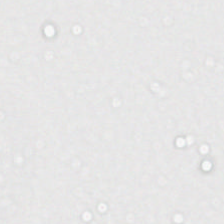This field is background (no tissue).
